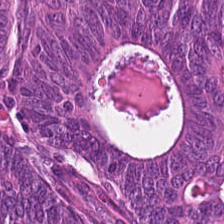FFPE · H&E-stained tissue section — This patch shows malignant epithelium.
